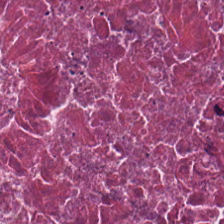WSI patch. H&E. The tissue here is cellular debris.
